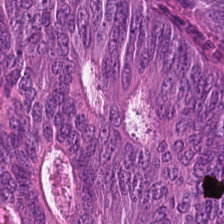Predominantly malignant epithelium.
